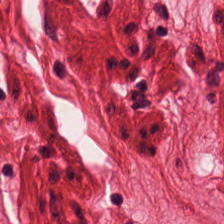Histology — smooth muscle.
